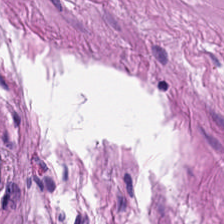Hematoxylin-and-eosin stained section; 224×224 px patch; 0.5 microns per pixel — Q: What tissue is shown?
A: Smooth muscle.
